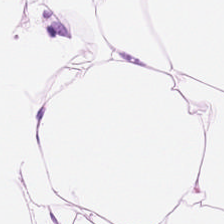0.5 µm/px · brightfield · H&E. Predominantly adipose.
